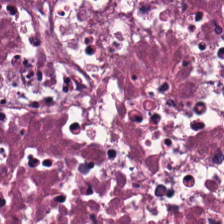Tissue class = necrotic debris.
